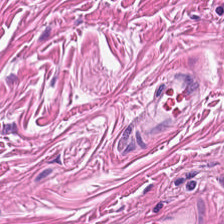H&E-stained tissue section — Tissue type: smooth-muscle tissue.
